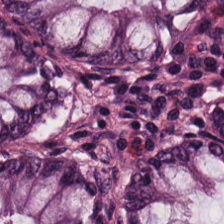The predominant tissue is non-neoplastic colon mucosa.
